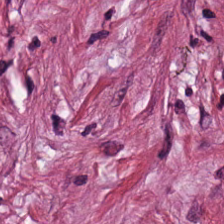The tissue here is desmoplastic stroma.
